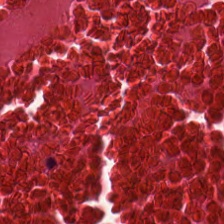{"tissue_type": "debris"}
